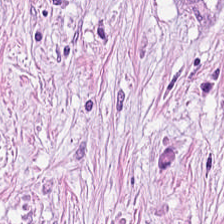H&E-stained tissue section.
Predominant tissue = tumor stroma.
